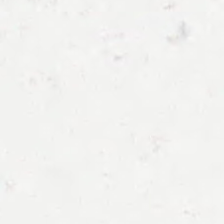H&E. Field content — no tissue.
